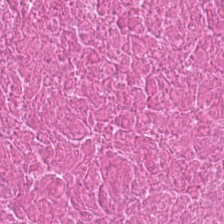H&E — Predominant tissue — cellular debris.
